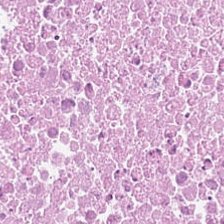FFPE; hematoxylin-and-eosin stained section; 0.5 microns per pixel.
Classification: necrotic debris.
